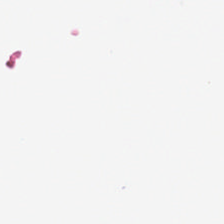Hematoxylin-and-eosin stained section. Impression — no tissue.
